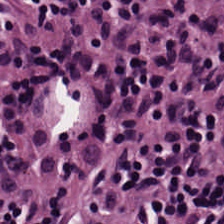Showing lymphoid infiltrate.
